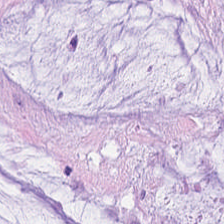Hematoxylin-and-eosin stained section. 224×224 px patch — Predominant tissue: mucin.
